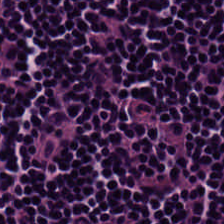0.5 µm/px. Hematoxylin and eosin.
The predominant tissue is lymphoid infiltrate.
